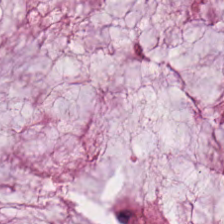Hematoxylin and eosin. Predominantly extracellular mucin.
